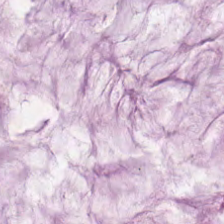Hematoxylin-and-eosin section: mucus.
